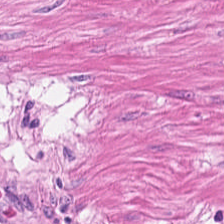H&E. Whole-slide-image patch. Tissue class: smooth-muscle tissue.
